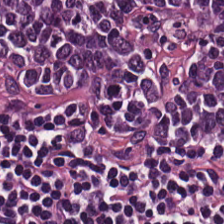0.5 µm per pixel. H&E-stained tissue section. 224×224 px patch.
Lymphoid infiltrate.
